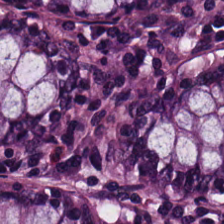H&E-stained tissue section. {"tissue_type": "benign colonic mucosa"}
